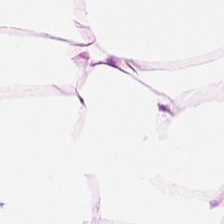Stain: hematoxylin-and-eosin stained section.
Classification: adipose tissue.
